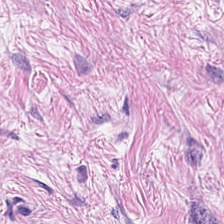Hematoxylin-and-eosin stained section · FFPE.
Tumor stroma.
